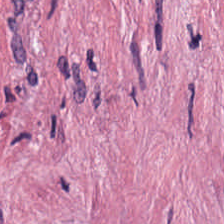Stain: hematoxylin and eosin.
Tissue type: tumor stroma.
